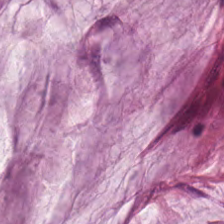Predominant tissue: mucin.
